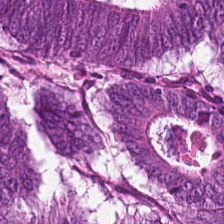Tissue = malignant epithelium.
